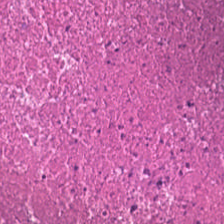H&E stain.
Showing cellular debris.
